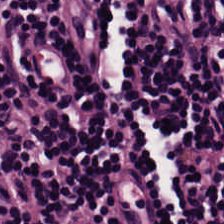H&E — The predominant tissue is lymphocyte aggregate.
